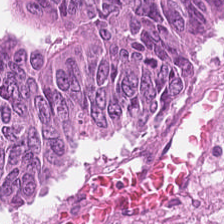Formalin-fixed paraffin-embedded section · H&E-stained tissue section · 0.5 µm/px. Predominant tissue = colorectal adenocarcinoma.
